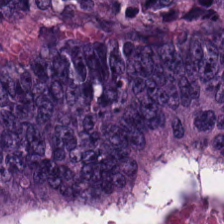Q: What does this patch show?
A: It is tumor epithelium.
